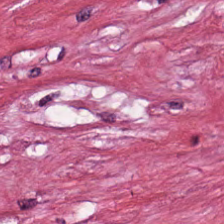FFPE tissue section; hematoxylin and eosin. Histology → tumor-associated stroma.
